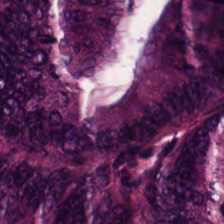Stain: H&E.
Preparation: FFPE tissue section.
Tissue: tumor epithelium.
